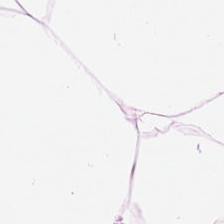Stain: hematoxylin and eosin.
Tissue type: adipocytes.
